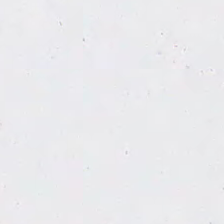The classification is background (no tissue).
